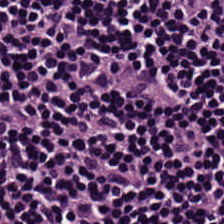H&E-stained section; the field shows lymphocytic infiltrate.
